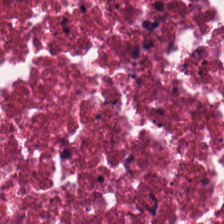Debris.
